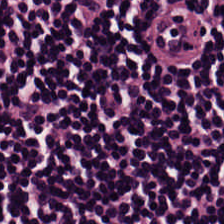H&E — This patch shows lymphocyte aggregate.
